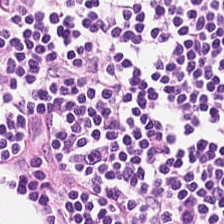224×224 px patch · H&E stain. This field is lymphocytic infiltrate.
